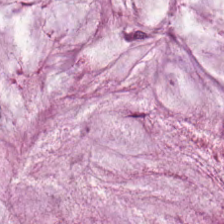Hematoxylin and eosin · 224×224 px patch.
Tissue class — extracellular mucin.
